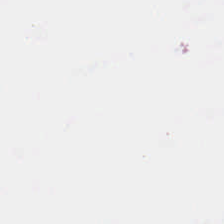This patch shows background.
